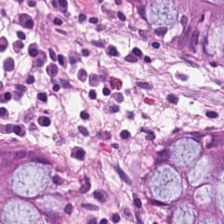H&E patch showing normal colonic mucosa.
